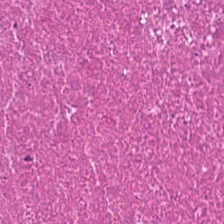Hematoxylin and eosin — The tissue here is debris.
